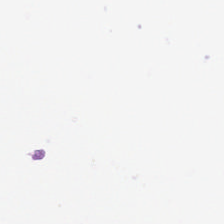Field content — empty background.
